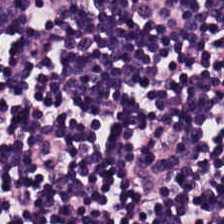H&E stain.
Predominant tissue = lymphoid infiltrate.
